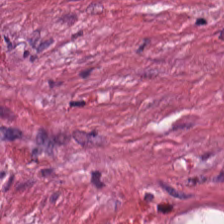H&E-stained tissue section.
Classification = desmoplastic stroma.
